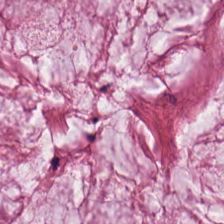0.5 µm per pixel; H&E — This patch shows extracellular mucin.
